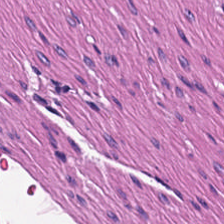H&E stain. {"tissue_type": "smooth muscle"}
